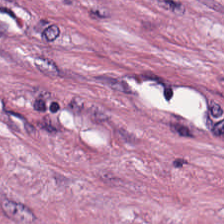Q: What is shown here?
A: The field shows tumor stroma.
